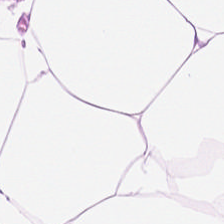Hematoxylin and eosin. 224×224 px tile — Tissue type: fat tissue.
